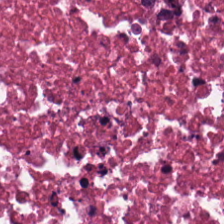Finding → necrotic debris.
